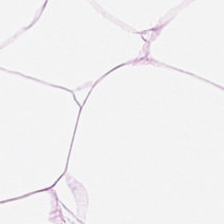FFPE tissue section. H&E-stained tissue section. 224×224 px patch.
Q: What does this patch show?
A: Fat tissue.
